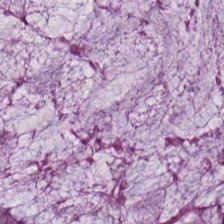H&E.
This patch shows benign colonic mucosa.
